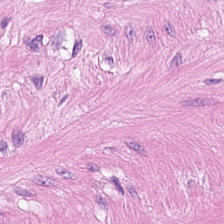Hematoxylin-and-eosin stained section — {"tissue_type": "smooth muscle"}
